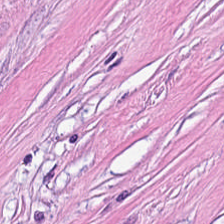0.5 µm/px · hematoxylin and eosin · WSI patch. Showing tumor-associated stroma.
